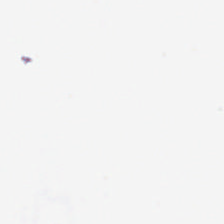Empty field — no tissue.
